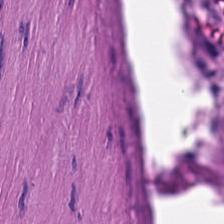Hematoxylin-and-eosin stained section · formalin-fixed paraffin-embedded section · 224×224 px patch. Predominantly smooth-muscle tissue.
